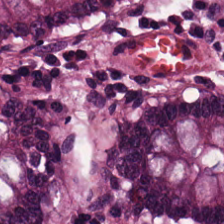H&E. FFPE.
Tissue — non-neoplastic colon mucosa.
